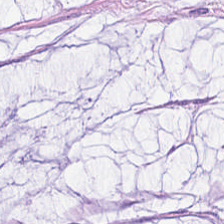Hematoxylin and eosin.
The predominant tissue is mucin.
